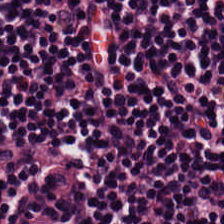224×224 pixel tile. H&E stain. Predominantly lymphocytes.
